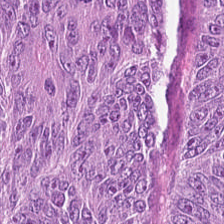H&E-stained tissue section; 0.5 microns per pixel.
Classification — colorectal adenocarcinoma.
